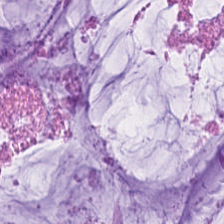H&E stain — Predominant tissue = extracellular mucin.
